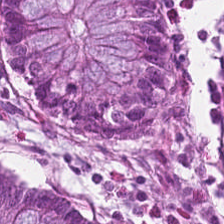H&E stain. Normal colon mucosa.
